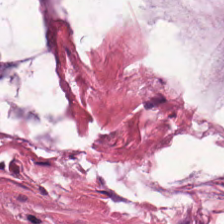H&E stain. {"tissue_type": "extracellular mucin"}
